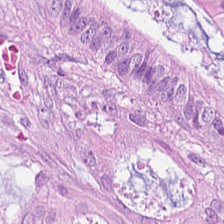Hematoxylin and eosin.
Tissue: malignant epithelium.
